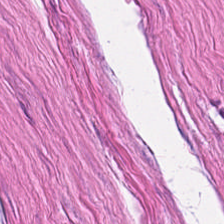Stain: hematoxylin and eosin.
Classification: muscularis.
